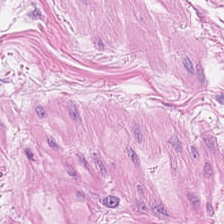Brightfield microscopy; H&E. {"tissue_type": "muscularis"}
